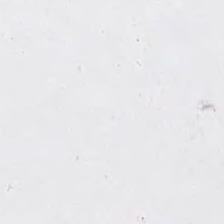Classification = background.
